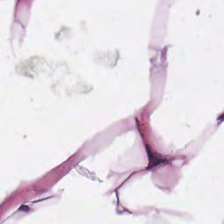Hematoxylin-and-eosin stained section. FFPE tissue section.
Tissue — fat tissue.
